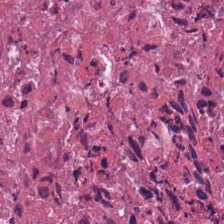FFPE. H&E stain. 20× equivalent magnification. Predominantly cellular debris.
